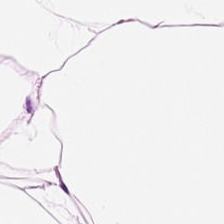Stain: H&E-stained tissue section.
Resolution: 0.5 µm per pixel.
Classification: adipocytes.
